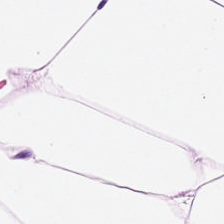224×224 pixel tile. Brightfield microscopy. Hematoxylin-and-eosin stained section — This patch shows adipose.
